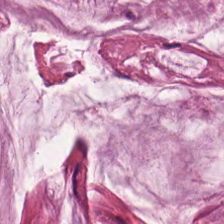H&E — Histology → mucus.
